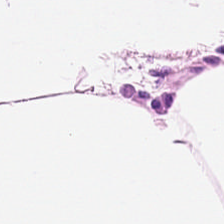Hematoxylin-and-eosin stained section. Histology → adipocytes.
